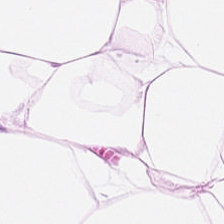H&E-stained tissue section · 224×224 pixel tile.
Tissue class: fat tissue.
